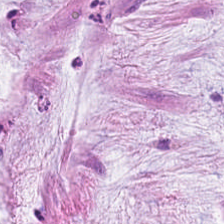Stain: H&E.
Predominant tissue: extracellular mucin.
